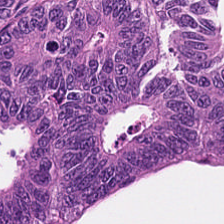Stain: H&E-stained tissue section.
Tissue type: malignant epithelium.
